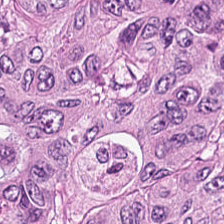20× equivalent magnification. 224×224 px tile. Hematoxylin-and-eosin stained section — This patch shows adenocarcinoma.
